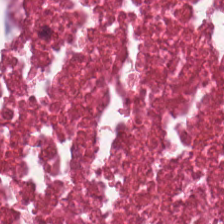Tissue: necrotic debris.
